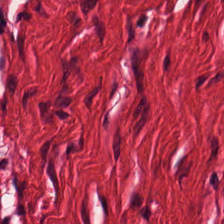H&E-stained tissue section.
Tissue type = smooth muscle.
